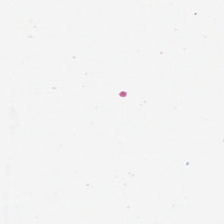WSI patch. FFPE. H&E stain — Histology — no tissue.
